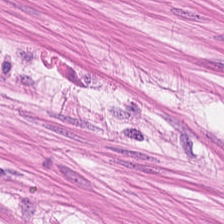H&E. 224×224 px tile.
Tissue type: smooth-muscle tissue.
